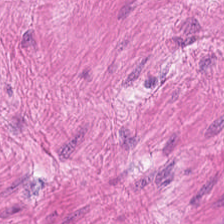0.5 µm per pixel. H&E — This field is muscularis.
